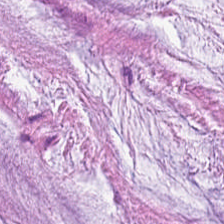{"tissue_type": "mucin"}
